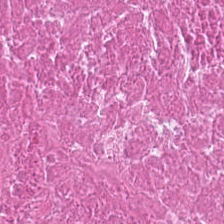Hematoxylin-and-eosin stained section; 20× equivalent magnification; FFPE tissue section.
Showing necrotic debris.
